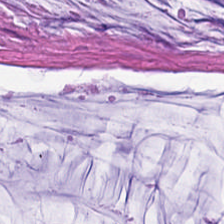Predominant tissue = extracellular mucin.
